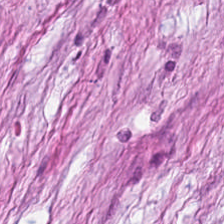H&E. FFPE. The tissue here is desmoplastic stroma.
